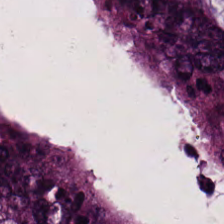0.5 µm per pixel. Hematoxylin and eosin. Whole-slide-image patch — The tissue here is tumor epithelium.
